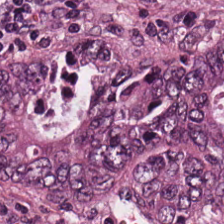Hematoxylin and eosin — Q: What does this patch show?
A: This is tumor epithelium.
